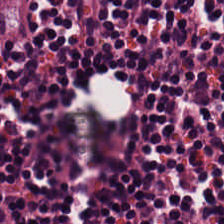Stain: hematoxylin-and-eosin stained section.
Predominant tissue: lymphoid infiltrate.
